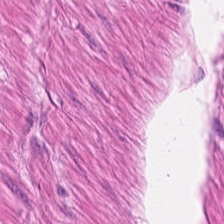Hematoxylin-and-eosin stained section · 0.5 µm per pixel · FFPE.
Classification = muscularis.
